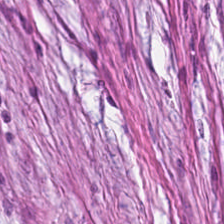Stain: H&E stain.
Classification: tumor-associated stroma.
